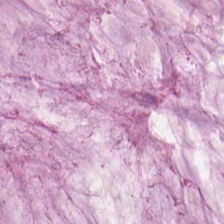H&E-stained tissue section — {"tissue_type": "mucus"}
